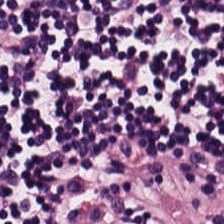224×224 px patch · H&E-stained tissue section · brightfield. Tissue — lymphocytic infiltrate.
